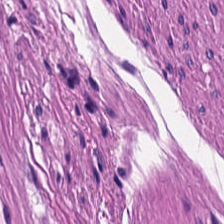Stain: hematoxylin-and-eosin stained section.
Tissue type: smooth muscle.
